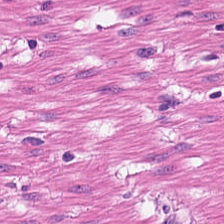Whole-slide-image patch · hematoxylin and eosin.
This field is smooth-muscle tissue.
